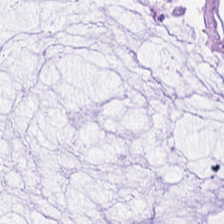Hematoxylin and eosin. The predominant tissue is mucus.
